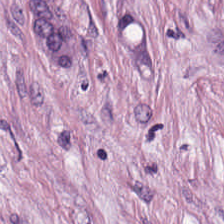H&E stain — Desmoplastic stroma.
